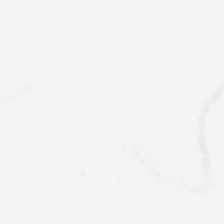H&E stain.
Q: What is shown in this field?
A: It is background.
